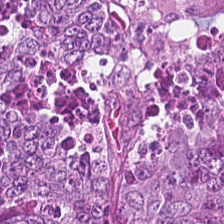Hematoxylin and eosin — Impression — adenocarcinoma.
